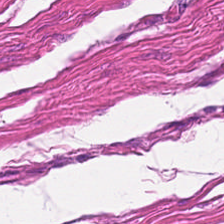{"tissue_type": "smooth-muscle tissue"}
